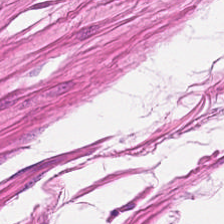Stain: hematoxylin and eosin.
Preparation: formalin-fixed paraffin-embedded section.
Tissue type: muscularis.
